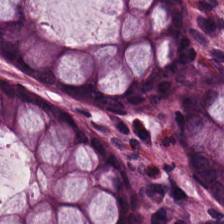H&E-stained tissue section. Q: What tissue type is shown here?
A: The field shows normal colonic mucosa.
